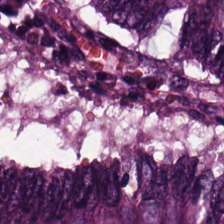Classification — colorectal adenocarcinoma epithelium.
